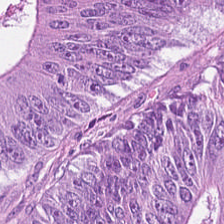Tissue type: tumor epithelium.
